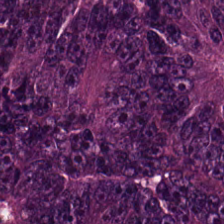Q: What tissue is shown?
A: The field shows colorectal adenocarcinoma.
